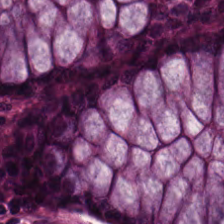Impression — benign colonic mucosa.
